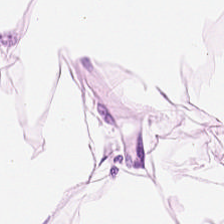H&E stain; 224×224 pixel tile. Impression — adipose.
